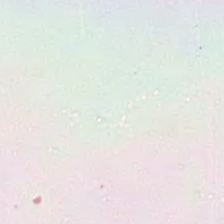H&E-stained tissue section.
Classification: background.
